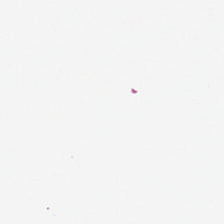H&E. Content — background.
